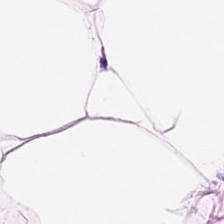Stain: hematoxylin and eosin.
Tile size: 224×224 px patch.
Preparation: FFPE tissue section.
Tissue type: adipose.
